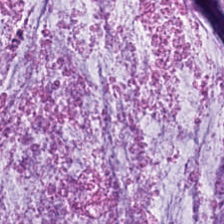Hematoxylin and eosin · formalin-fixed paraffin-embedded section · brightfield.
Predominant tissue: mucus.
